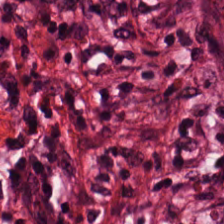Hematoxylin-and-eosin stained section.
{"tissue_type": "desmoplastic stroma"}
